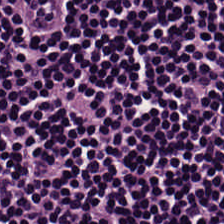Tissue class = lymphocyte aggregate.
